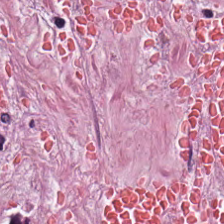0.5 µm per pixel · hematoxylin and eosin. Q: What is the predominant tissue type?
A: The field shows tumor-associated stroma.
